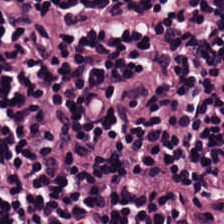Hematoxylin-and-eosin stained section — Q: What type of tissue is this?
A: This is lymphocytic infiltrate.
